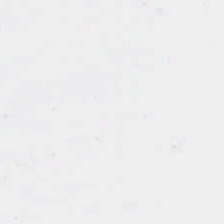Stain: hematoxylin and eosin.
Resolution: 0.5 µm/px.
Classification: no tissue.
